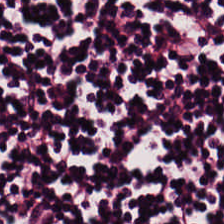20× equivalent magnification; hematoxylin-and-eosin stained section — This patch shows lymphocyte aggregate.
